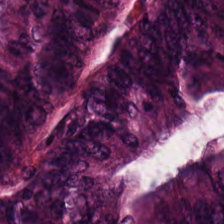Stain: hematoxylin-and-eosin stained section.
Resolution: 20× equivalent magnification.
Predominant tissue: tumor epithelium.
